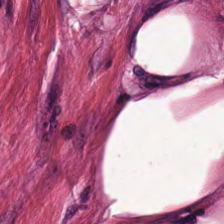Q: What tissue is shown?
A: It is cancer-associated stroma.
